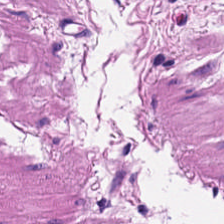This patch shows smooth-muscle tissue.
